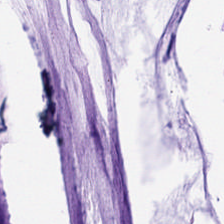H&E stain — The predominant tissue is mucus.
